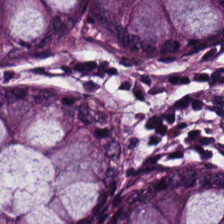Showing normal colon mucosa.
